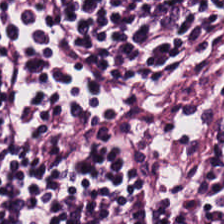H&E-stained tissue section. Showing lymphocytic infiltrate.
